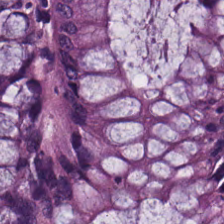H&E — Predominantly benign colonic mucosa.
